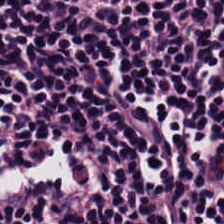H&E · brightfield microscopy. Predominantly lymphocyte aggregate.
